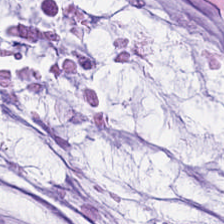Hematoxylin-and-eosin stained section. Classification: mucus.
